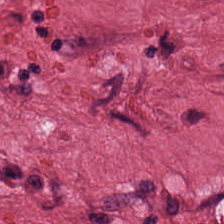Stain: hematoxylin-and-eosin stained section.
Tissue: cancer-associated stroma.
